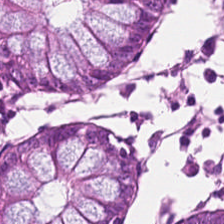H&E stain.
This patch shows normal colonic mucosa.
